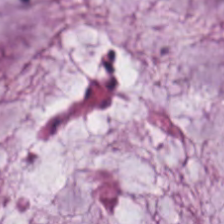H&E-stained tissue section.
{"tissue_type": "extracellular mucin"}
